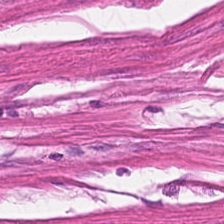H&E stain; brightfield microscopy. Q: Identify the tissue.
A: It is smooth muscle.
